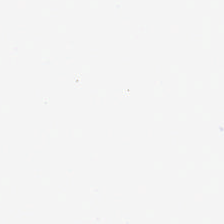No tissue present; background only.
